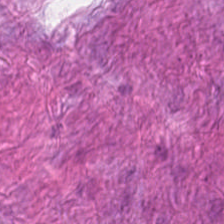Predominant tissue = cancer-associated stroma.
